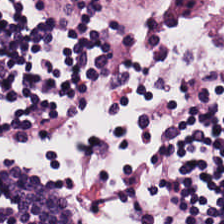The predominant tissue is lymphocyte aggregate.
